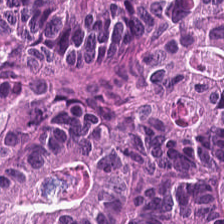Hematoxylin-and-eosin stained section. 0.5 µm/px.
The predominant tissue is malignant epithelium.
